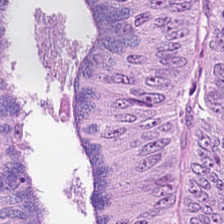Hematoxylin-and-eosin stained section.
This field is tumor epithelium.
